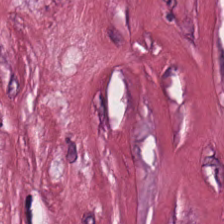Hematoxylin and eosin — Q: Identify the tissue.
A: This is tumor-associated stroma.
